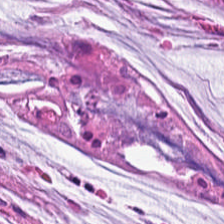H&E. Tissue type = mucus.
